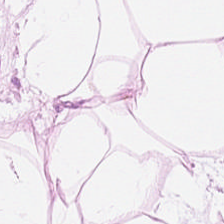H&E patch showing fat tissue.
